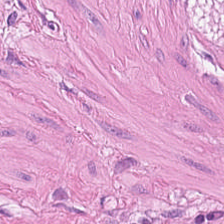Stain: H&E-stained tissue section.
Tile size: 224×224 px patch.
Tissue type: smooth muscle.
